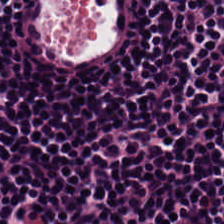H&E stain. Predominantly lymphocyte aggregate.
